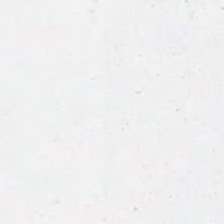H&E stain — Classification — no tissue.
